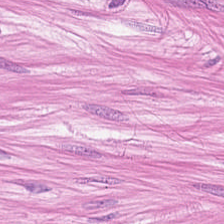224×224 px tile · H&E — Predominantly smooth muscle.
